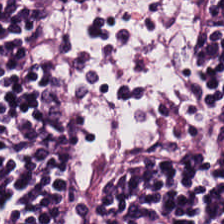Hematoxylin-and-eosin stained section — Tissue type = lymphocyte aggregate.
